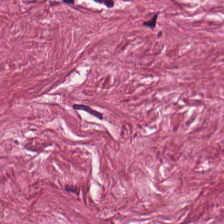H&E-stained tissue section. This field is tumor-associated stroma.
